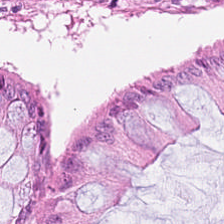Hematoxylin-and-eosin section: non-neoplastic colon mucosa.
